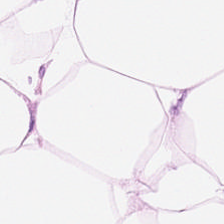H&E stain.
Predominant tissue — fat tissue.
